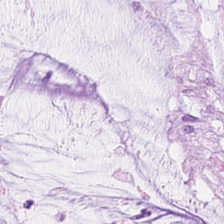H&E-stained tissue section. FFPE tissue section — Tissue: mucus.
